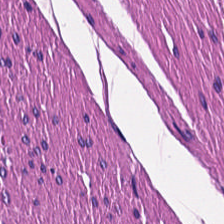H&E — Q: What does this patch show?
A: Smooth muscle.
